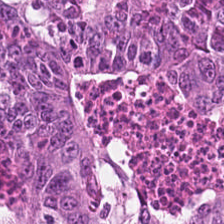H&E-stained tissue section · 224×224 px tile. Showing colorectal adenocarcinoma epithelium.
